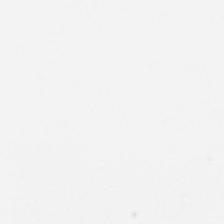H&E.
Q: What is shown here?
A: It is no tissue.
